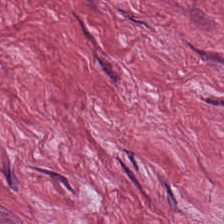H&E-stained tissue section. The predominant tissue is cancer-associated stroma.
